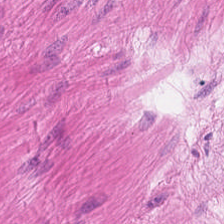FFPE tissue section; H&E — Q: Classify this patch.
A: The field shows smooth-muscle tissue.
